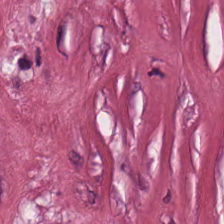Finding → cancer-associated stroma.
